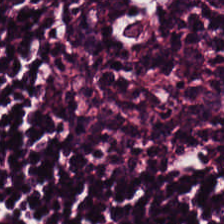224×224 px tile · hematoxylin and eosin. The tissue here is lymphocytes.
